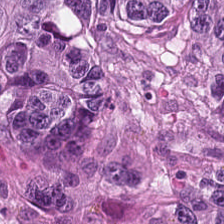Tissue = colorectal adenocarcinoma.
